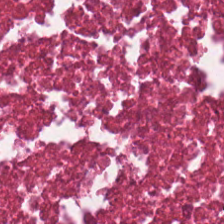Formalin-fixed paraffin-embedded section; H&E.
This field is cellular debris.
